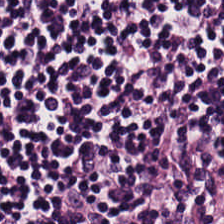This patch shows lymphoid infiltrate.
